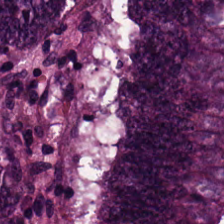Hematoxylin and eosin — {"tissue_type": "colorectal adenocarcinoma"}
